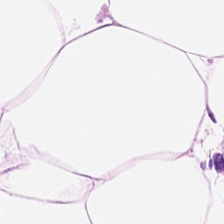Histology — adipocytes.
